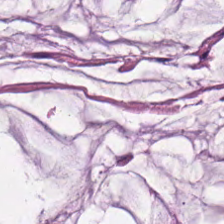Brightfield microscopy · H&E stain. {"tissue_type": "extracellular mucin"}
